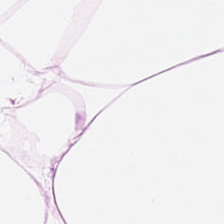Tissue type = adipose tissue.
